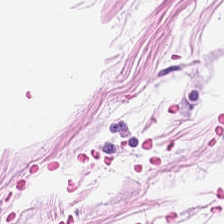Hematoxylin and eosin · 0.5 µm/px · FFPE tissue section.
Tissue: adipocytes.
